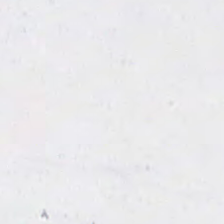H&E.
{"content": "empty background"}
